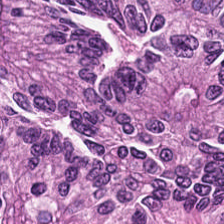Impression → colorectal adenocarcinoma.
